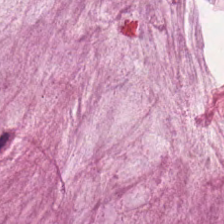Formalin-fixed paraffin-embedded section; hematoxylin-and-eosin stained section — Impression → mucus.
